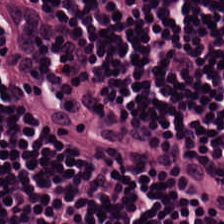The predominant tissue is lymphocytes.
